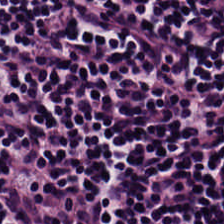Hematoxylin-and-eosin stained section.
Histology — lymphocyte aggregate.
